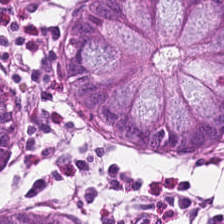Hematoxylin and eosin.
Q: Classify this patch.
A: Non-neoplastic colon mucosa.
